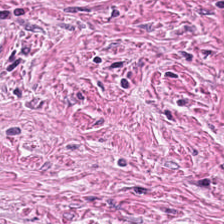H&E-stained tissue section. Tissue: desmoplastic stroma.
